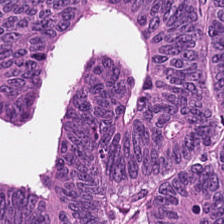H&E-stained tissue section. The predominant tissue is colorectal adenocarcinoma epithelium.
